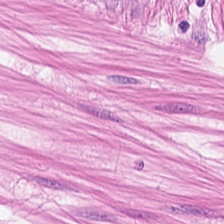Predominantly muscularis.
